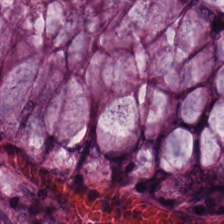Formalin-fixed paraffin-embedded section. Hematoxylin and eosin. Predominant tissue: normal colonic mucosa.
